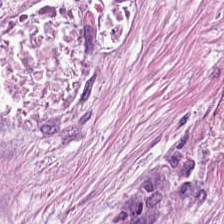Hematoxylin-and-eosin stained section; 224×224 px tile.
This patch shows desmoplastic stroma.
